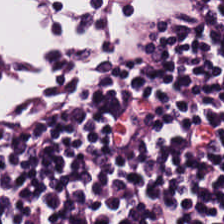20× equivalent magnification. FFPE. Hematoxylin and eosin.
Classification = lymphoid infiltrate.
